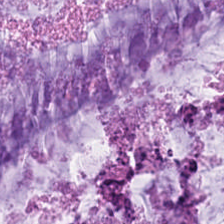Brightfield; hematoxylin and eosin; 0.5 µm per pixel — Showing mucin.
